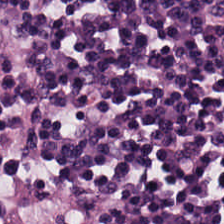Hematoxylin-and-eosin stained section. Lymphocytes.
